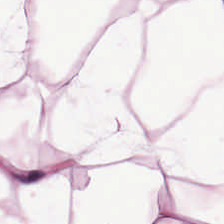Tissue type: adipose.
